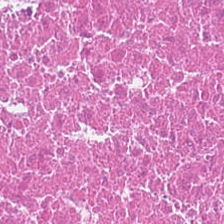H&E-stained tissue section. Formalin-fixed paraffin-embedded section. 0.5 µm per pixel. This field is debris.
